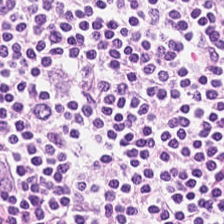Brightfield; hematoxylin-and-eosin stained section; FFPE tissue section.
Tissue — lymphocytic infiltrate.
